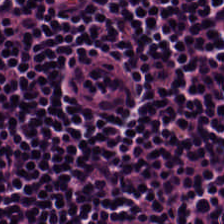H&E stain.
Tissue class = lymphocytic infiltrate.
